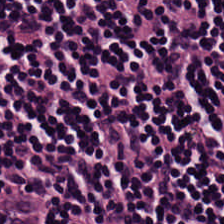H&E-stained tissue section showing lymphocyte aggregate.
